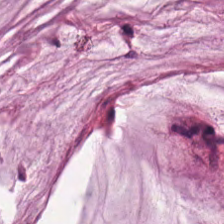Hematoxylin-and-eosin stained section.
Q: What is shown in this field?
A: Extracellular mucin.
